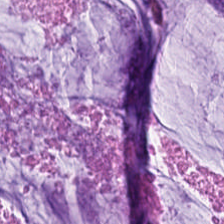The tissue here is mucus.
